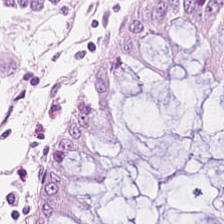224×224 px patch; H&E. Classification = normal colonic mucosa.
